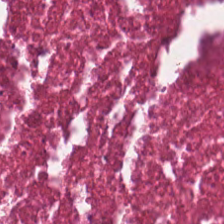224×224 pixel tile · H&E. Q: What type of tissue is this?
A: The field shows debris.
